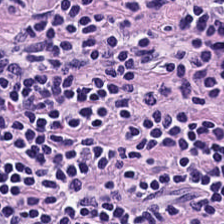Classification = lymphocytes.
